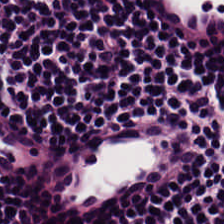Q: What tissue type is shown here?
A: The field shows lymphoid infiltrate.
